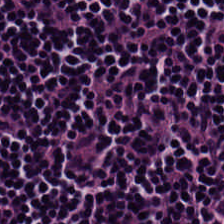H&E-stained tissue section — Q: What does this patch show?
A: It is lymphoid infiltrate.
